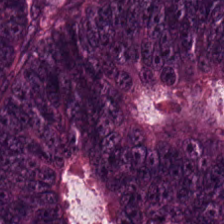H&E.
This field is colorectal adenocarcinoma.
